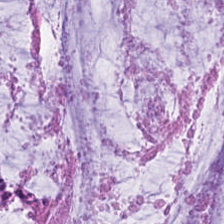Stain: hematoxylin and eosin.
Predominant tissue: extracellular mucin.
